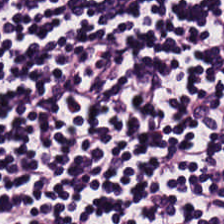Stain: H&E stain.
Tissue type: lymphocytic infiltrate.
